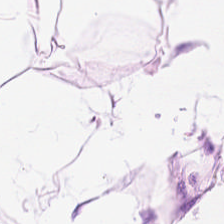H&E. {"tissue_type": "fat tissue"}
